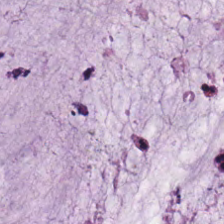Hematoxylin and eosin; 20× equivalent magnification — This patch shows mucus.
